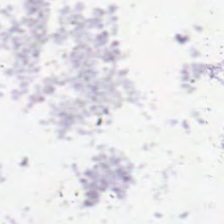Hematoxylin and eosin — Field content: background (no tissue).
